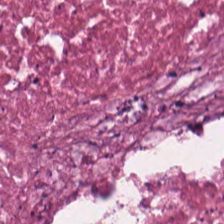Stain: hematoxylin and eosin.
Classification: necrotic debris.
